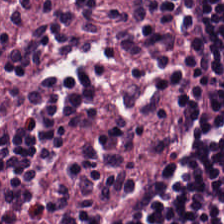20× equivalent magnification. 224×224 pixel tile. H&E-stained tissue section. Impression → lymphocytes.
